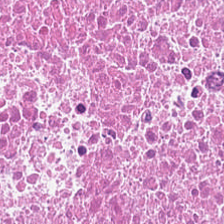H&E — necrotic debris.
